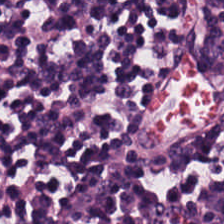The tissue is lymphocytic infiltrate.
